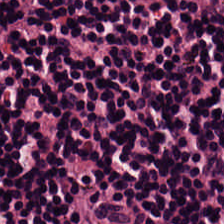Formalin-fixed paraffin-embedded section. H&E stain — Tissue type — lymphoid infiltrate.
